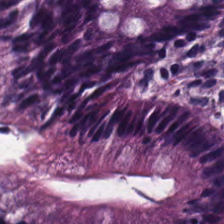H&E stain. FFPE tissue section.
The classification is benign colonic mucosa.
